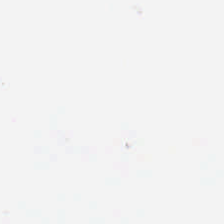H&E — No tissue present; background only.
